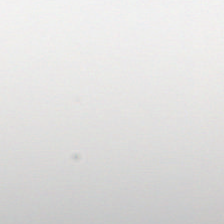H&E stain — The field content is empty background.
